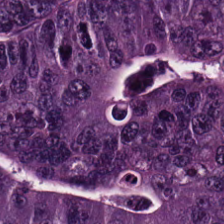Hematoxylin-and-eosin stained section.
Finding → adenocarcinoma.
